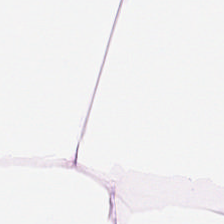Histology → adipocytes.
